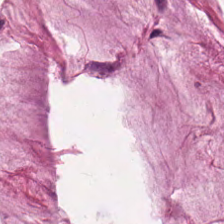Predominantly mucus.
